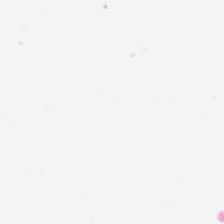Content — background (no tissue).
